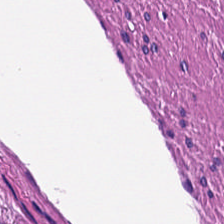H&E — The tissue here is smooth muscle.
